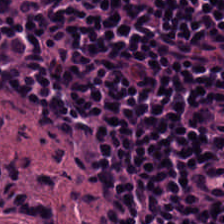H&E — {"tissue_type": "lymphoid infiltrate"}
